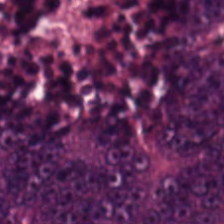Q: Identify the tissue.
A: The field shows tumor epithelium.
